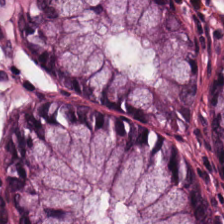H&E stain. This field is normal colon mucosa.
